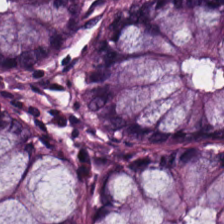Hematoxylin and eosin.
This field is normal colonic mucosa.
